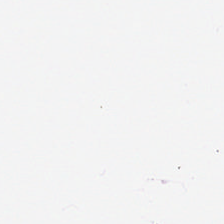Tissue type — adipocytes.
